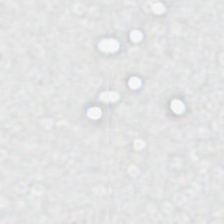Finding — background.
